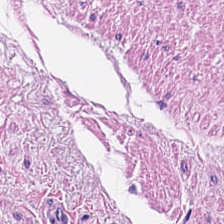H&E. FFPE tissue section. 0.5 microns per pixel.
Tissue class = muscularis.
